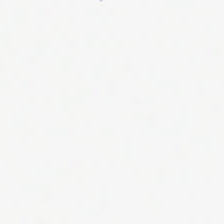Hematoxylin-and-eosin stained section. 0.5 µm/px. Histology → empty background.
